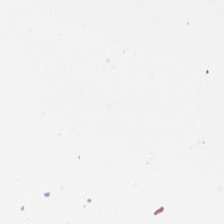0.5 µm/px · formalin-fixed paraffin-embedded section · hematoxylin and eosin. Q: What is shown in this field?
A: The field shows background.
